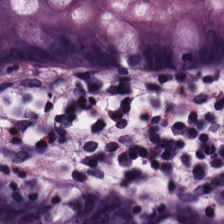The predominant tissue is normal colonic mucosa.
